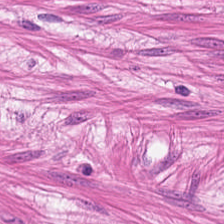Hematoxylin-and-eosin section: smooth-muscle tissue.
